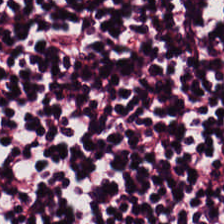224×224 px patch; H&E.
Q: Classify this patch.
A: It is lymphocyte aggregate.
